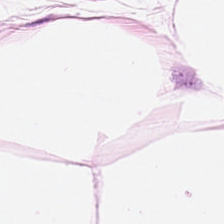H&E stain. Adipocytes.
